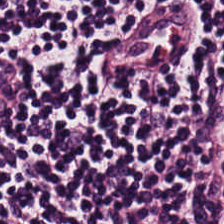The tissue here is lymphoid infiltrate.
